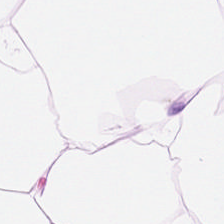224×224 px patch; hematoxylin and eosin — Classification — fat tissue.
